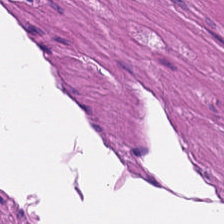Formalin-fixed paraffin-embedded section · hematoxylin-and-eosin stained section — Q: What type of tissue is this?
A: The field shows smooth muscle.
